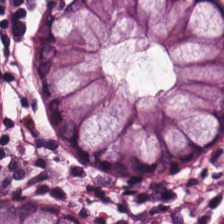0.5 µm/px. 224×224 pixel tile. H&E. The tissue here is benign colonic mucosa.
